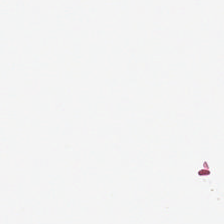Hematoxylin-and-eosin stained section — {"content": "background"}
